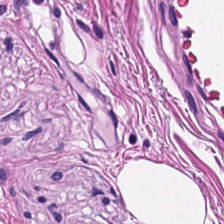H&E — smooth muscle.
